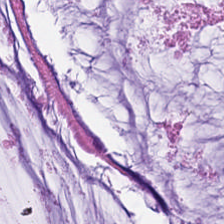H&E-stained tissue section. 0.5 microns per pixel. Whole-slide-image patch. The predominant tissue is mucus.
